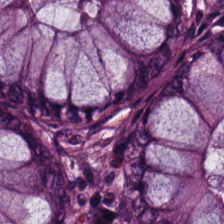Hematoxylin and eosin · 224×224 pixel tile · 20× equivalent magnification. Showing normal colon mucosa.
